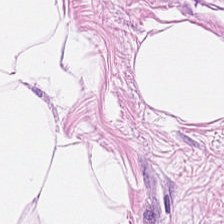Histology — adipose.
